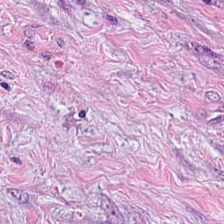H&E stain.
The predominant tissue is tumor stroma.
